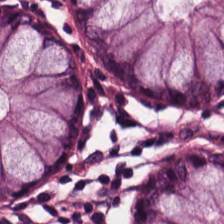Hematoxylin-and-eosin stained section; 0.5 microns per pixel. The tissue type is normal colonic mucosa.
